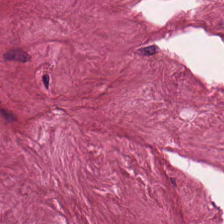This patch shows tumor-associated stroma.
